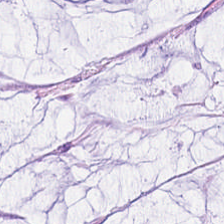Stain: H&E stain.
Resolution: 0.5 µm/px.
Tissue type: mucin.
